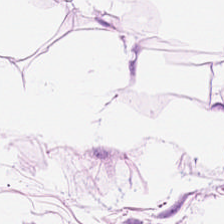Predominantly fat tissue.
